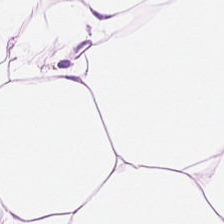Stain: hematoxylin and eosin.
Classification: adipocytes.
